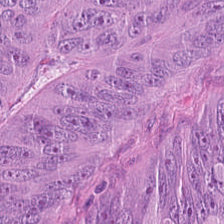H&E-stained tissue section; 0.5 µm per pixel — {"tissue_type": "malignant epithelium"}
